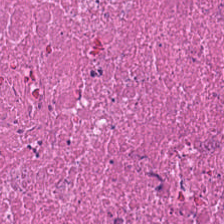Hematoxylin and eosin. Tissue type = cellular debris.
